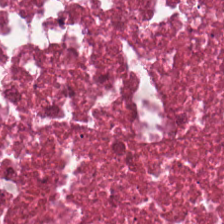0.5 microns per pixel · hematoxylin-and-eosin stained section.
Q: Classify this patch.
A: Debris.
